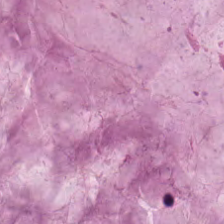H&E — Q: What does this patch show?
A: Extracellular mucin.
